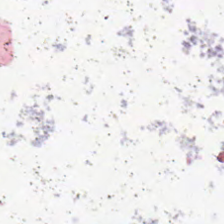H&E. Histology → no tissue.
